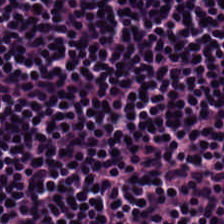H&E-stained tissue section.
The tissue type is lymphocytic infiltrate.
